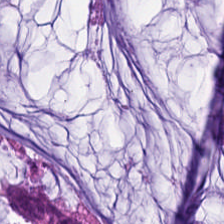224×224 px tile · H&E-stained tissue section. Finding → mucus.
